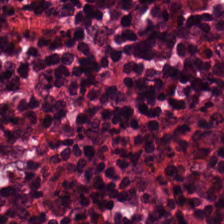Normal colonic mucosa.
